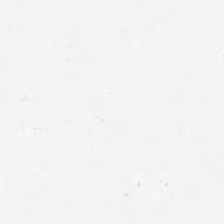Stain: H&E stain.
Tile size: 224×224 pixel tile.
Preparation: FFPE tissue section.
Content: background.
